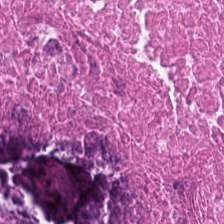H&E-stained tissue section · whole-slide-image patch — The tissue type is cellular debris.
